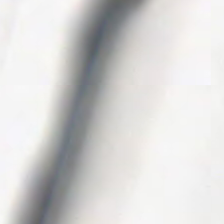H&E stain.
This patch shows background.
